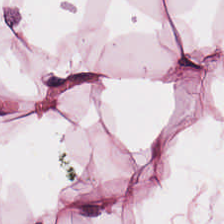Q: Classify this patch.
A: Adipose.
